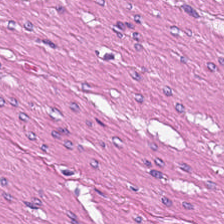Hematoxylin-and-eosin stained section — This field is muscularis.
